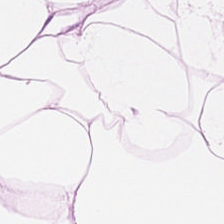Hematoxylin-and-eosin stained section; 20× equivalent magnification; WSI patch — The tissue here is adipose.
